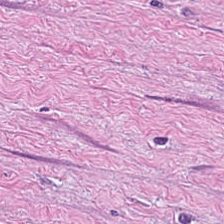H&E patch showing tumor-associated stroma.
